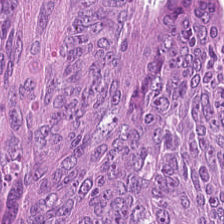Formalin-fixed paraffin-embedded section. Hematoxylin-and-eosin stained section. {"tissue_type": "tumor epithelium"}
